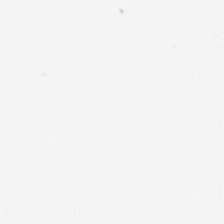0.5 microns per pixel; H&E-stained tissue section. Field content: background (no tissue).
